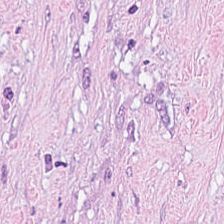Hematoxylin-and-eosin stained section; brightfield.
This field is cancer-associated stroma.
